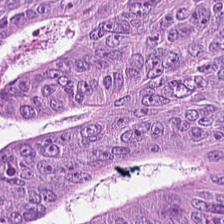H&E stain; 0.5 microns per pixel. This patch shows adenocarcinoma.
